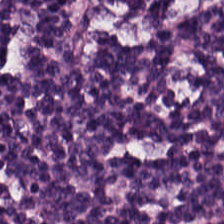Hematoxylin and eosin · formalin-fixed paraffin-embedded section · brightfield microscopy.
Showing lymphocytes.
